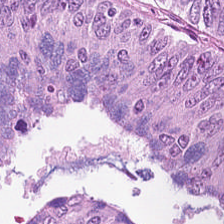WSI patch · 20× equivalent magnification · H&E stain.
{"tissue_type": "colorectal adenocarcinoma"}
